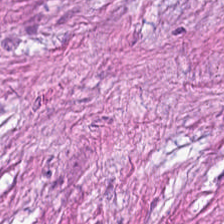Stain: hematoxylin-and-eosin stained section.
Resolution: 0.5 µm/px.
Preparation: FFPE tissue section.
Predominant tissue: cancer-associated stroma.
